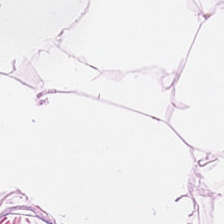H&E stain — Q: What does this patch show?
A: It is adipose.
